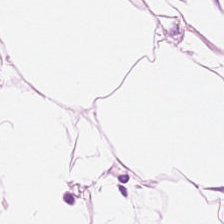H&E-stained tissue section; formalin-fixed paraffin-embedded section — Q: What is the predominant tissue type?
A: It is adipocytes.
